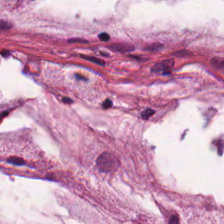Whole-slide-image patch · hematoxylin and eosin · 20× equivalent magnification — Showing extracellular mucin.
